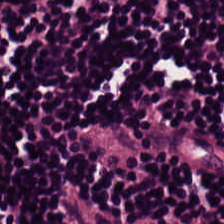H&E stain.
Tissue — lymphocytes.
